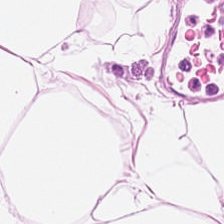224×224 px patch. Hematoxylin and eosin. WSI patch.
This field is fat tissue.
